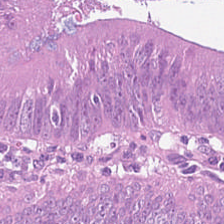0.5 µm per pixel · 224×224 pixel tile · H&E stain — Histology — adenocarcinoma.
